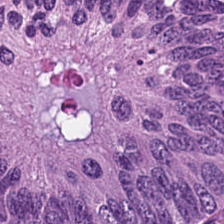The tissue type is malignant epithelium.
